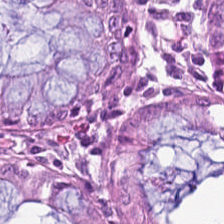Stain: H&E-stained tissue section.
Predominant tissue: benign colonic mucosa.
